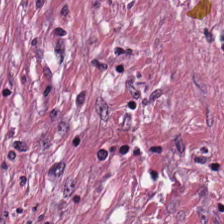20× equivalent magnification. FFPE tissue section. Hematoxylin-and-eosin stained section. This patch shows cancer-associated stroma.
